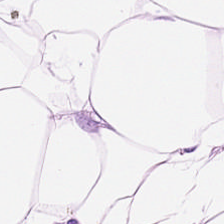Hematoxylin and eosin · 0.5 µm/px — The predominant tissue is adipocytes.
